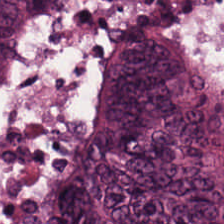H&E stain. Q: Classify this patch.
A: It is adenocarcinoma.
